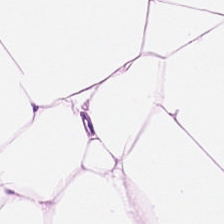H&E — Q: What tissue is shown?
A: The field shows adipose.
